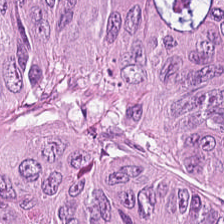FFPE · 0.5 µm per pixel · hematoxylin and eosin. The tissue type is adenocarcinoma.
